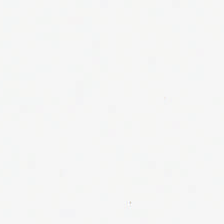Hematoxylin and eosin · FFPE. Q: What is shown in this field?
A: The field shows background.
